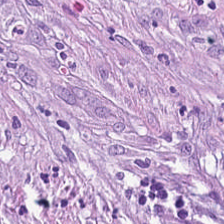Tissue class: tumor stroma.
